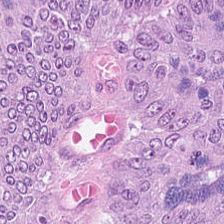Hematoxylin and eosin — {"tissue_type": "colorectal adenocarcinoma epithelium"}
